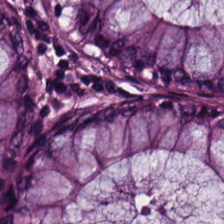Hematoxylin-and-eosin stained section.
Q: Classify this patch.
A: The field shows normal colon mucosa.
